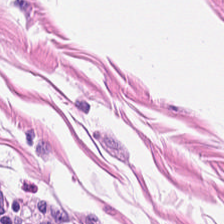Stain: H&E.
Tissue type: smooth-muscle tissue.
